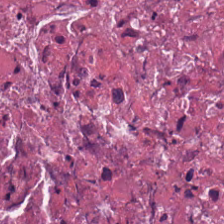H&E stain. 0.5 microns per pixel. Formalin-fixed paraffin-embedded section.
Q: What does this patch show?
A: The field shows debris.
